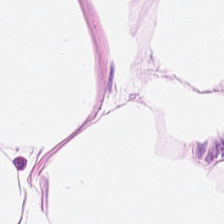Adipose tissue.
